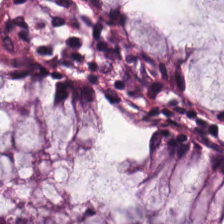224×224 pixel tile; H&E stain.
Tissue — normal colonic mucosa.
